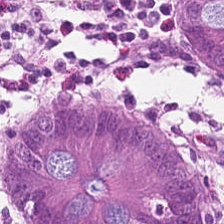H&E.
Impression — normal colonic mucosa.
